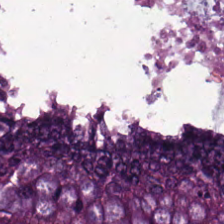{"tissue_type": "tumor epithelium"}
